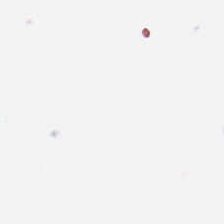Formalin-fixed paraffin-embedded section; H&E stain; 0.5 µm per pixel.
Q: What does this patch show?
A: It is background.
